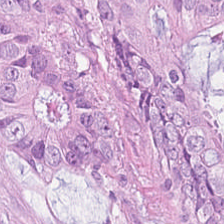Hematoxylin-and-eosin stained section. Predominant tissue: colorectal adenocarcinoma epithelium.
